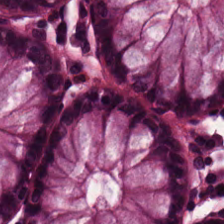Impression → normal colon mucosa.
